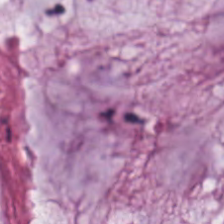H&E.
The tissue here is extracellular mucin.
